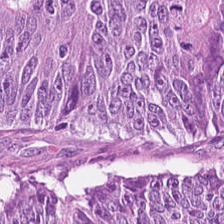H&E stain. Classification = colorectal adenocarcinoma.
